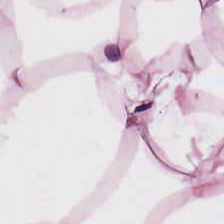20× equivalent magnification. FFPE tissue section. H&E stain.
Adipocytes.
